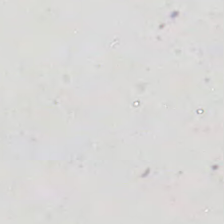H&E.
Empty field — no tissue.
